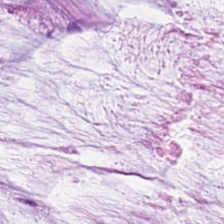Hematoxylin-and-eosin stained section · 224×224 px patch. {"tissue_type": "mucin"}
